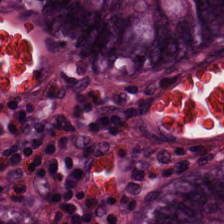224×224 px tile · hematoxylin-and-eosin stained section — Q: What tissue type is shown here?
A: Normal colon mucosa.
